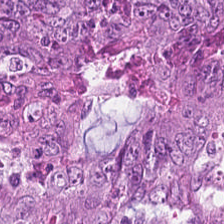H&E stain.
Q: What tissue is shown?
A: Malignant epithelium.
